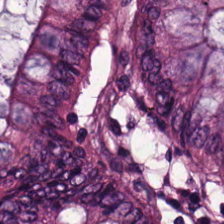Classification — normal colonic mucosa.
